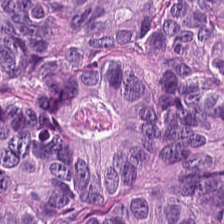Tissue: colorectal adenocarcinoma.
